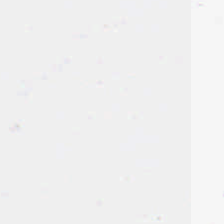Q: What is shown in this field?
A: Background.
